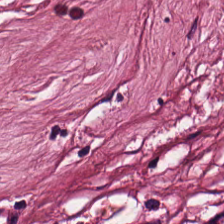Hematoxylin and eosin. This patch shows cancer-associated stroma.
